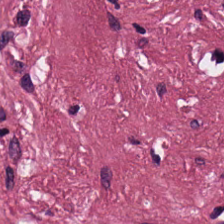H&E-stained section; the field shows tumor stroma.
